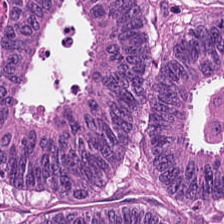H&E patch showing tumor epithelium.
